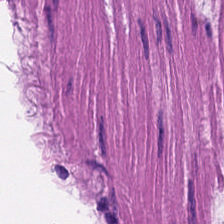Formalin-fixed paraffin-embedded section · H&E · 20× equivalent magnification.
The predominant tissue is muscularis.
